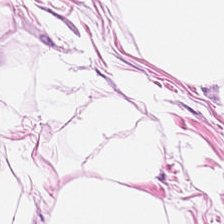H&E-stained tissue section. Histology → fat tissue.
